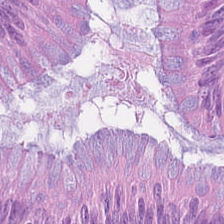H&E stain — Colorectal adenocarcinoma.
